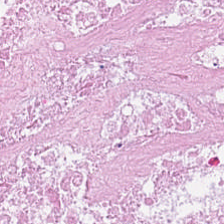H&E stain.
{"tissue_type": "cellular debris"}
